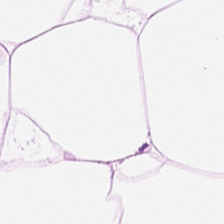Q: What is shown here?
A: It is adipose tissue.
